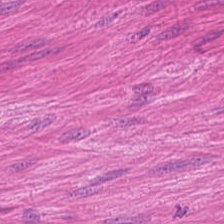Histology — smooth-muscle tissue.
